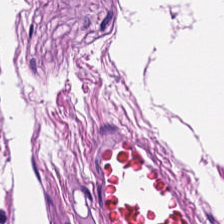Hematoxylin and eosin.
Q: What is shown in this field?
A: Smooth-muscle tissue.
